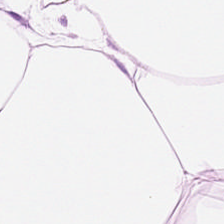H&E. 0.5 µm per pixel. Impression — adipocytes.
